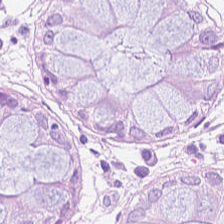H&E stain — The tissue type is benign colonic mucosa.
